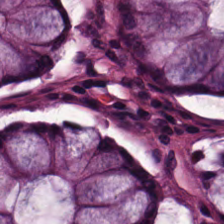Histology → benign colonic mucosa.
